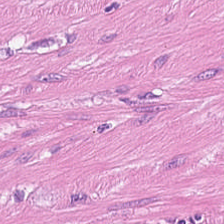H&E — Q: Identify the tissue.
A: It is muscularis.
